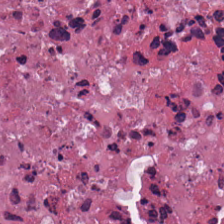H&E stain — {"tissue_type": "cellular debris"}
